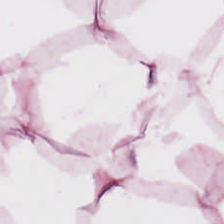Hematoxylin and eosin; 224×224 pixel tile. Q: What is shown in this field?
A: This is adipocytes.
